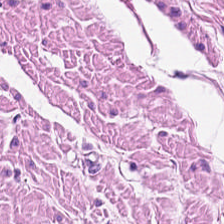H&E.
The tissue class is smooth-muscle tissue.
